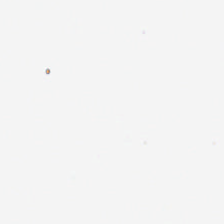0.5 µm per pixel · H&E-stained tissue section. This field is background (no tissue).
